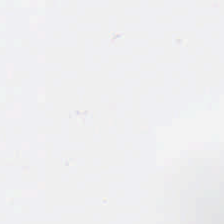Stain: H&E-stained tissue section.
Content: background (no tissue).
